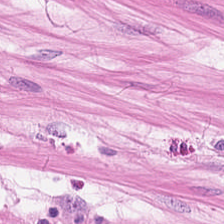Hematoxylin and eosin · 0.5 µm per pixel.
Q: Identify the tissue.
A: It is smooth-muscle tissue.
